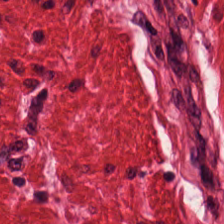H&E.
This field is smooth muscle.
